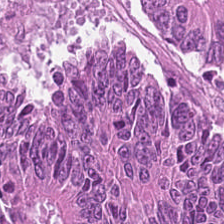H&E stain; FFPE. Impression — colorectal adenocarcinoma.
